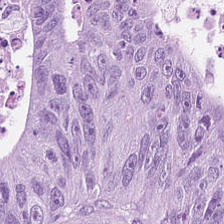Histology → colorectal adenocarcinoma epithelium.
